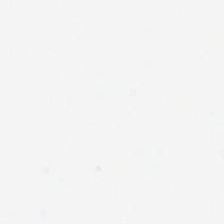0.5 µm per pixel. H&E. No tissue present; background only.
